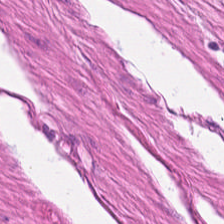Q: What is shown in this field?
A: It is smooth muscle.
